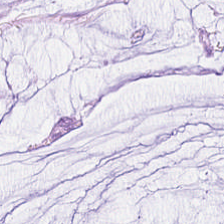Hematoxylin and eosin — Extracellular mucin.
